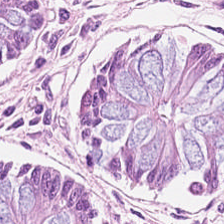Tissue type = normal colon mucosa.
